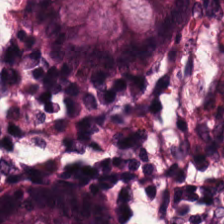Hematoxylin-and-eosin stained section. FFPE. This patch shows non-neoplastic colon mucosa.
